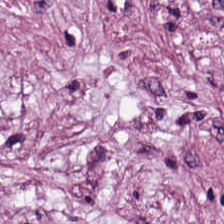224×224 pixel tile. Hematoxylin and eosin.
Showing tumor stroma.
